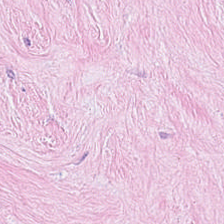224×224 px tile. H&E-stained tissue section. Brightfield.
This field is tumor stroma.
